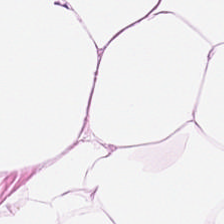H&E-stained tissue section. This field is adipose tissue.
